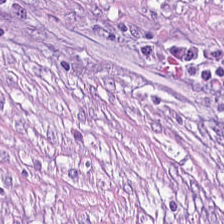Hematoxylin and eosin — Predominant tissue — cancer-associated stroma.
